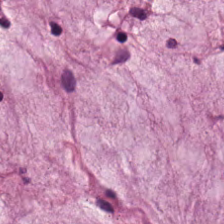Stain: hematoxylin and eosin.
Tissue type: extracellular mucin.
